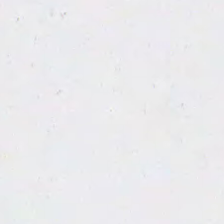No tissue present; background only.
